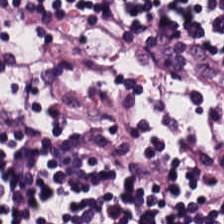Hematoxylin and eosin. Showing lymphoid infiltrate.
